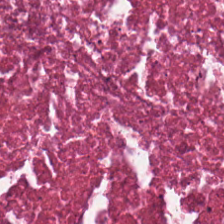Hematoxylin-and-eosin stained section — Tissue class — cellular debris.
